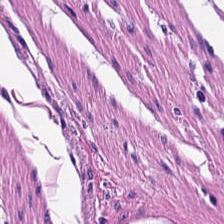Predominantly smooth-muscle tissue.
